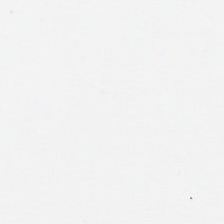Whole-slide-image patch · H&E stain — Content — no tissue.
